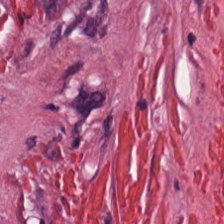Tissue — tumor-associated stroma.
